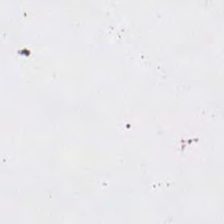H&E-stained tissue section. WSI patch.
Q: Classify this patch.
A: Empty background.
